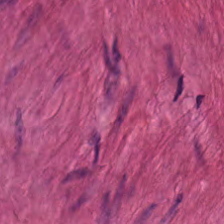H&E stain · brightfield microscopy · FFPE tissue section — Tissue type: smooth muscle.
